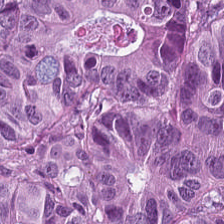Tissue type: colorectal adenocarcinoma.
